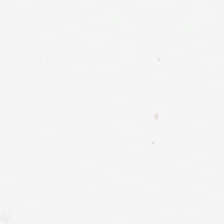H&E-stained tissue section — Impression — background (no tissue).
